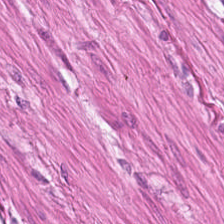H&E-stained tissue section — Finding → smooth muscle.
